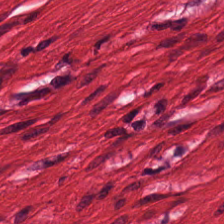Hematoxylin-and-eosin stained section; brightfield — Q: What type of tissue is this?
A: This is smooth-muscle tissue.
